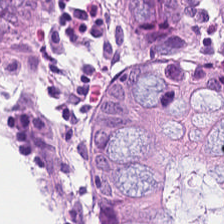H&E stain.
Showing normal colonic mucosa.
